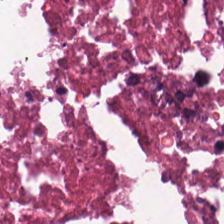H&E stain. Tissue type: necrotic debris.
